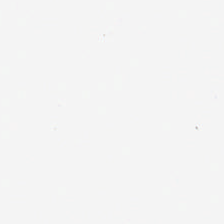Whole-slide-image patch · hematoxylin-and-eosin stained section. Impression → background.
